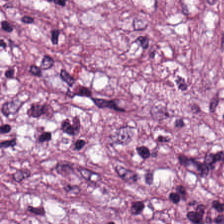Stain: hematoxylin-and-eosin stained section.
Tissue class: tumor stroma.
